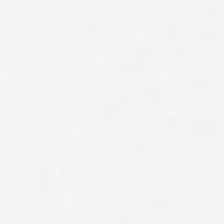H&E stain. 0.5 µm/px.
This patch shows empty background.
